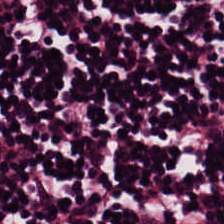Stain: H&E-stained tissue section.
Preparation: FFPE.
Classification: lymphocytic infiltrate.
